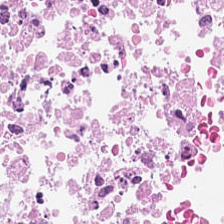This patch shows necrotic debris.
